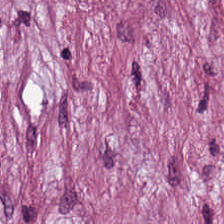Q: What type of tissue is this?
A: Desmoplastic stroma.
